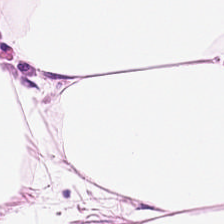H&E-stained tissue section. This field is adipose.
